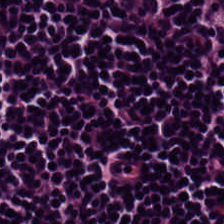Hematoxylin and eosin. 0.5 µm per pixel. FFPE tissue section — Q: What tissue is shown?
A: Lymphocyte aggregate.
